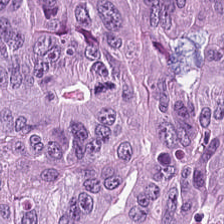Tissue class = adenocarcinoma.
